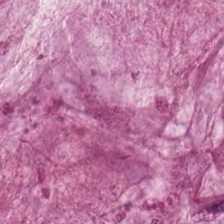224×224 pixel tile · H&E-stained tissue section · FFPE tissue section — Impression — mucus.
